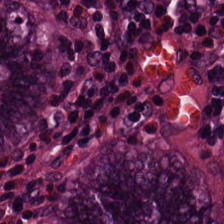Formalin-fixed paraffin-embedded section. Hematoxylin-and-eosin stained section. This field is non-neoplastic colon mucosa.
